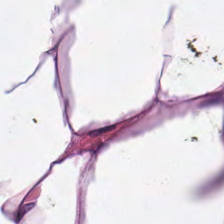224×224 px tile. H&E stain. 0.5 µm per pixel.
Classification: adipose.
